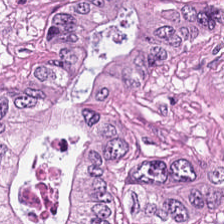H&E-stained tissue section; 224×224 pixel tile; FFPE. Predominantly tumor epithelium.
